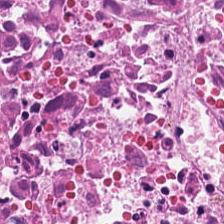Tissue type = debris.
